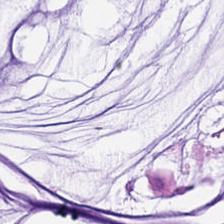H&E — This patch shows mucin.
